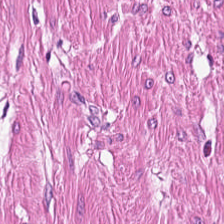Stain: H&E stain.
Preparation: FFPE.
Tile size: 224×224 px tile.
Predominant tissue: smooth muscle.
